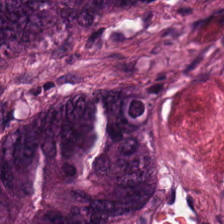H&E-stained tissue section — Q: What tissue is shown?
A: Colorectal adenocarcinoma.
